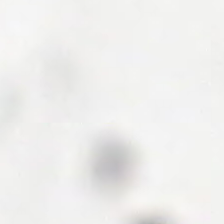H&E stain — Classification — no tissue.
